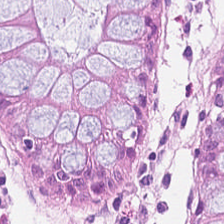H&E — Classification = non-neoplastic colon mucosa.
